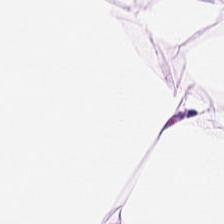Hematoxylin-and-eosin stained section · 224×224 pixel tile. Q: What tissue type is shown here?
A: It is adipose tissue.
